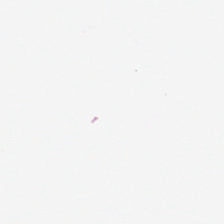Hematoxylin-and-eosin stained section — Classification = background (no tissue).
